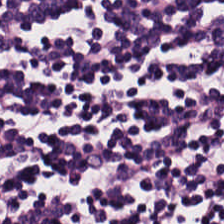H&E-stained tissue section · 20× equivalent magnification.
Tissue class = lymphoid infiltrate.
